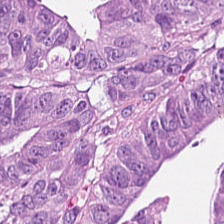H&E.
{"tissue_type": "colorectal adenocarcinoma"}
